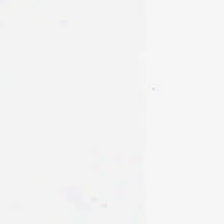Stain: hematoxylin-and-eosin stained section.
Acquisition: WSI patch.
Field content: no tissue.
